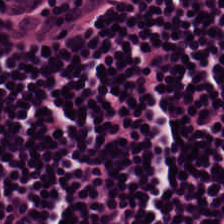Q: Classify this patch.
A: The field shows lymphocytic infiltrate.
